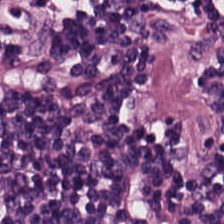H&E-stained tissue section; brightfield; 224×224 pixel tile. Impression — lymphocyte aggregate.
